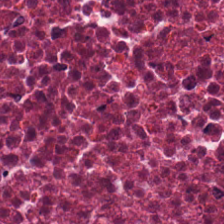H&E-stained tissue section — This field is necrotic debris.
